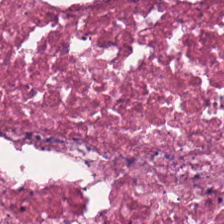Stain: H&E-stained tissue section.
Tissue type: cellular debris.
